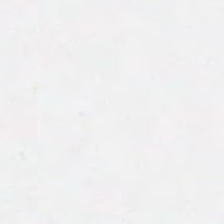Hematoxylin and eosin — {"content": "no tissue"}
